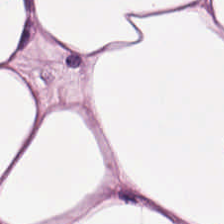20× equivalent magnification; H&E-stained tissue section — Showing adipose.
